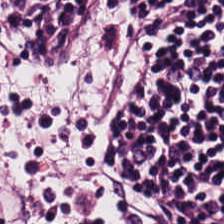H&E-stained tissue section — Showing lymphocytic infiltrate.
